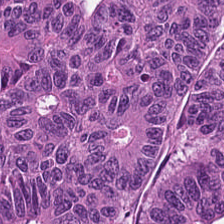The predominant tissue is colorectal adenocarcinoma.
